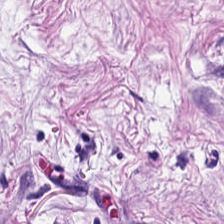H&E-stained section; the field shows cancer-associated stroma.
